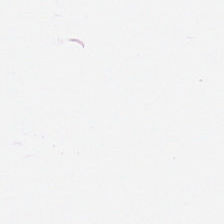Stain: H&E-stained tissue section.
Tissue: adipose tissue.
